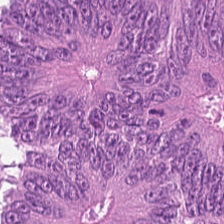H&E-stained tissue section. Histology — malignant epithelium.
